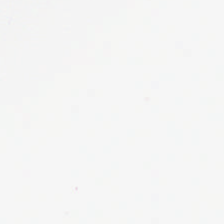FFPE tissue section; hematoxylin and eosin — Q: What does this patch show?
A: Background.
